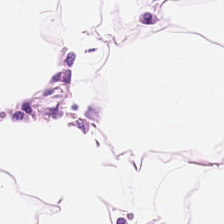H&E stain. Finding → adipocytes.
